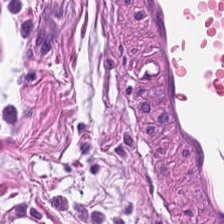Brightfield microscopy · hematoxylin and eosin.
{"tissue_type": "smooth muscle"}
